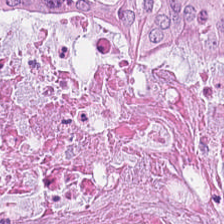Hematoxylin-and-eosin stained section · brightfield · formalin-fixed paraffin-embedded section — {"tissue_type": "malignant epithelium"}
